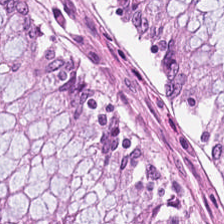224×224 px patch. Hematoxylin-and-eosin stained section. Predominantly benign colonic mucosa.
